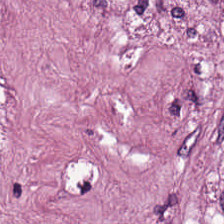FFPE tissue section · 224×224 px patch · H&E-stained tissue section.
The predominant tissue is tumor-associated stroma.
